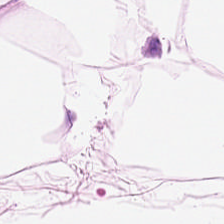H&E stain.
{"tissue_type": "adipocytes"}
